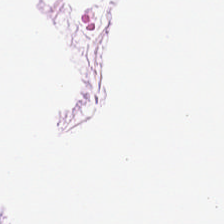Hematoxylin and eosin — This field is adipose tissue.
